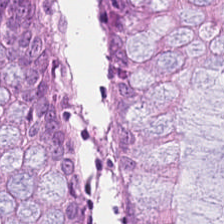The predominant tissue is non-neoplastic colon mucosa.
